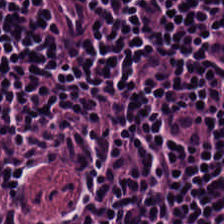H&E stain. This field is lymphoid infiltrate.
